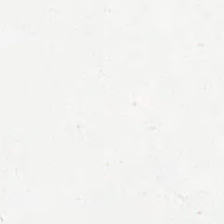0.5 µm/px. H&E-stained tissue section.
Impression — background (no tissue).
